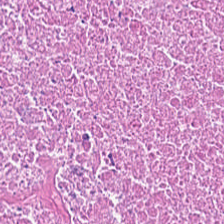H&E-stained tissue section — Impression → necrotic debris.
